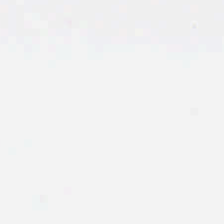224×224 px tile; WSI patch; H&E-stained tissue section.
Q: What is shown here?
A: This is background (no tissue).
